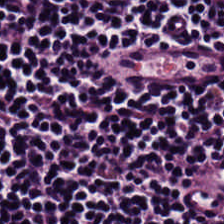Hematoxylin-and-eosin stained section.
Tissue = lymphocytic infiltrate.
